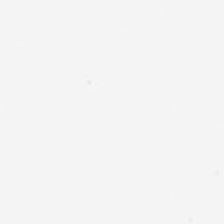H&E-stained tissue section. This patch shows empty background.
